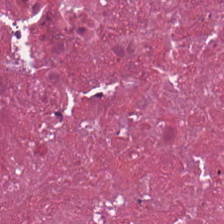Hematoxylin and eosin.
The predominant tissue is debris.
